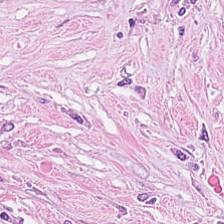H&E. 0.5 microns per pixel. Whole-slide-image patch. Showing tumor-associated stroma.
